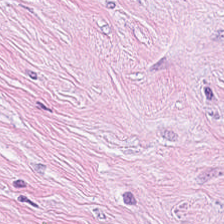Hematoxylin-and-eosin section: tumor stroma.
